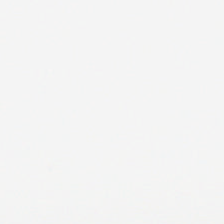H&E stain. WSI patch. Content: background.
